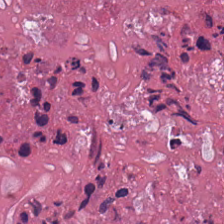H&E stain. Q: Classify this patch.
A: The field shows necrotic debris.
